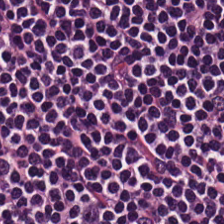Hematoxylin and eosin. Brightfield.
Tissue class — lymphocyte aggregate.
